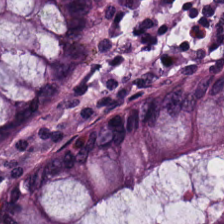H&E stain; FFPE — The tissue class is non-neoplastic colon mucosa.
